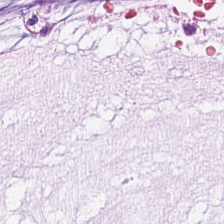Hematoxylin-and-eosin stained section — This field is extracellular mucin.
